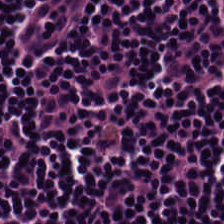H&E-stained section; the field shows lymphocyte aggregate.
